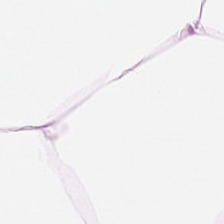H&E-stained tissue section; FFPE; 0.5 µm/px.
Q: What does this patch show?
A: It is adipose.
